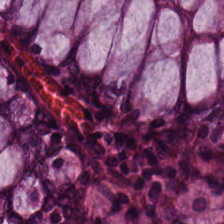H&E stain; 224×224 pixel tile; FFPE tissue section — Predominantly benign colonic mucosa.
